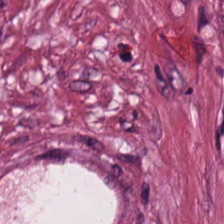Stain: hematoxylin-and-eosin stained section.
Tile size: 224×224 pixel tile.
Tissue: tumor stroma.
